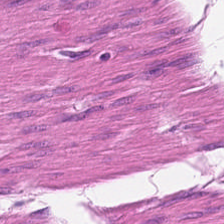Q: What is shown here?
A: It is smooth-muscle tissue.
